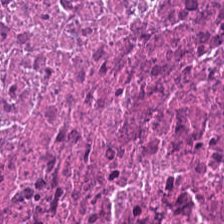Hematoxylin-and-eosin stained section; brightfield; FFPE tissue section. Tissue = necrotic debris.
